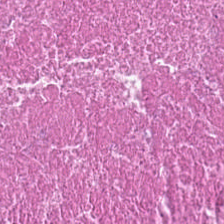H&E stain — The predominant tissue is debris.
